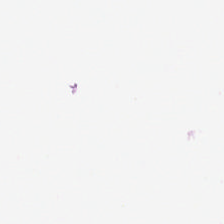H&E. Field content = empty background.
